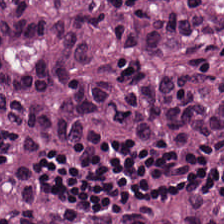Stain: H&E stain.
Resolution: 20× equivalent magnification.
Predominant tissue: tumor epithelium.
